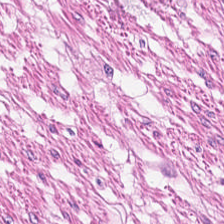H&E-stained tissue section.
Muscularis.
